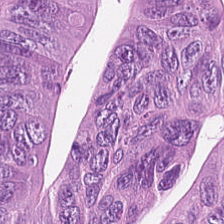Formalin-fixed paraffin-embedded section. Hematoxylin and eosin.
Q: What is shown in this field?
A: Tumor epithelium.
